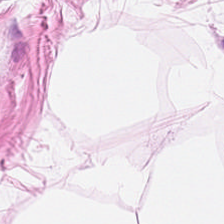H&E — {"tissue_type": "adipocytes"}
